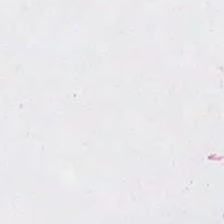H&E-stained tissue section; 20× equivalent magnification.
Q: What is shown here?
A: This is empty background.
